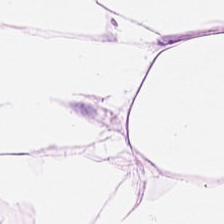Finding → adipocytes.
